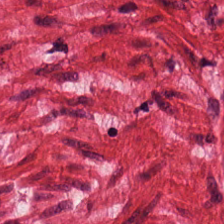H&E-stained tissue section; 0.5 microns per pixel. The tissue here is muscularis.
